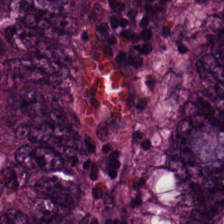H&E stain. Classification — colorectal adenocarcinoma.
